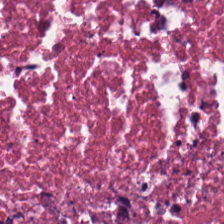H&E. This patch shows cellular debris.
